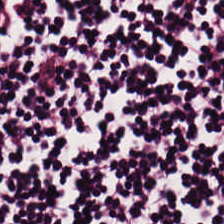H&E. The tissue type is lymphocyte aggregate.
